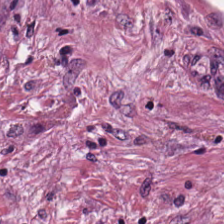Q: What tissue type is shown here?
A: The field shows cancer-associated stroma.
